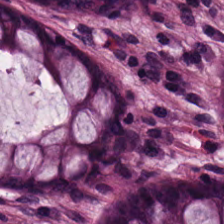H&E.
Predominant tissue: non-neoplastic colon mucosa.
